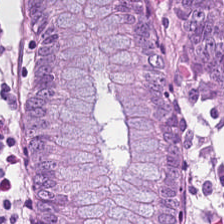H&E-stained tissue section. 20× equivalent magnification — The tissue here is normal colonic mucosa.
